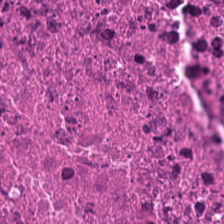H&E; 20× equivalent magnification. Classification — cellular debris.
